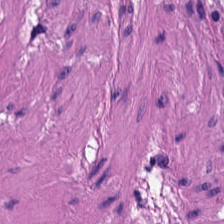H&E stain. The predominant tissue is muscularis.
